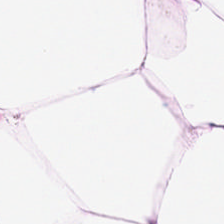Stain: H&E stain.
Tissue: adipose tissue.
